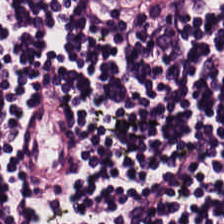FFPE tissue section. H&E-stained tissue section — Impression → lymphocyte aggregate.
